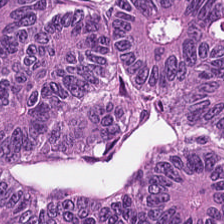H&E stain. 224×224 pixel tile. FFPE — Histology — colorectal adenocarcinoma.
